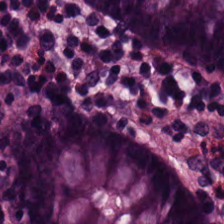H&E stain.
This field is normal colonic mucosa.
